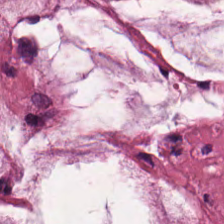Hematoxylin-and-eosin stained section; 224×224 pixel tile.
Tissue class — extracellular mucin.
